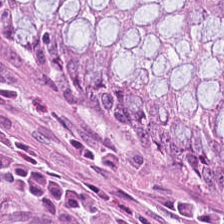20× equivalent magnification. Hematoxylin-and-eosin stained section.
This field is benign colonic mucosa.
